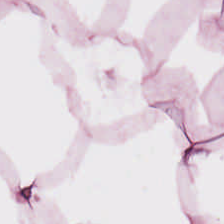This field is adipocytes.
